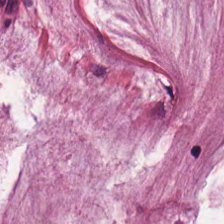0.5 µm per pixel. H&E stain. 224×224 pixel tile. Showing extracellular mucin.
